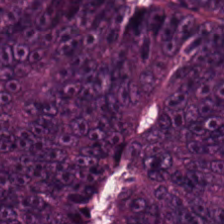Q: What type of tissue is this?
A: The field shows adenocarcinoma.
